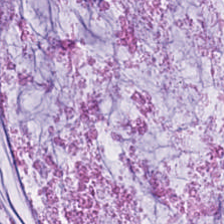Formalin-fixed paraffin-embedded section; H&E-stained tissue section; whole-slide-image patch.
This field is mucus.
